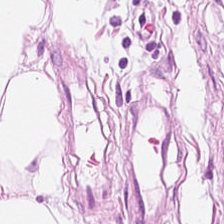Q: Classify this patch.
A: This is adipose tissue.
